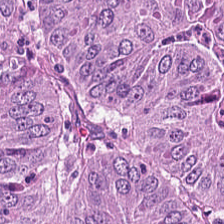Hematoxylin-and-eosin stained section. Classification — malignant epithelium.
